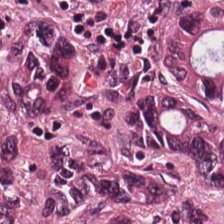Hematoxylin-and-eosin stained section. Predominantly colorectal adenocarcinoma.
